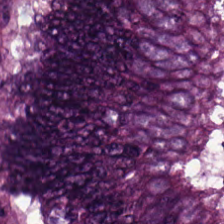H&E-stained tissue section. WSI patch.
Tissue type — adenocarcinoma.
